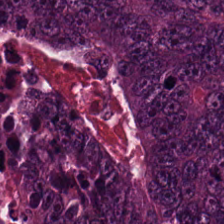Stain: H&E.
Predominant tissue: adenocarcinoma.
